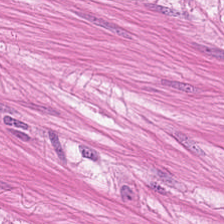H&E-stained tissue section — Q: What does this patch show?
A: Muscularis.
